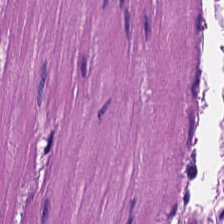Finding → smooth-muscle tissue.
